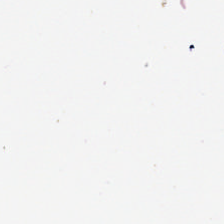H&E-stained tissue section · FFPE · 20× equivalent magnification — Classification = empty background.
